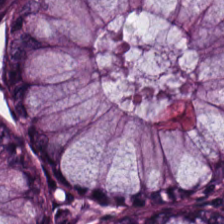0.5 microns per pixel · H&E stain — This patch shows benign colonic mucosa.
